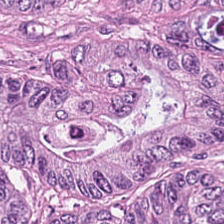H&E; 224×224 px patch. Tissue class = tumor epithelium.
